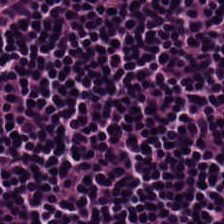H&E stain.
This patch shows lymphoid infiltrate.
